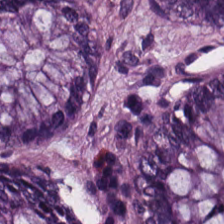H&E stain — Showing benign colonic mucosa.
